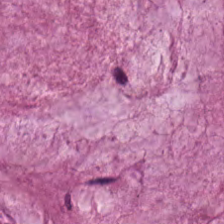Stain: H&E-stained tissue section.
Tissue class: mucin.
